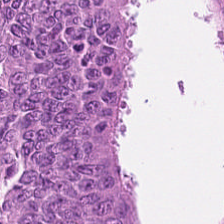Tissue type: adenocarcinoma.
